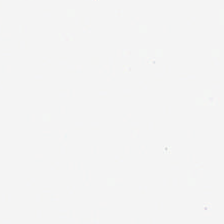Formalin-fixed paraffin-embedded section; 0.5 microns per pixel; hematoxylin and eosin. The field content is no tissue.
